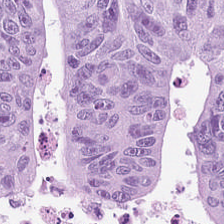Stain: H&E stain.
Tile size: 224×224 px tile.
Preparation: formalin-fixed paraffin-embedded section.
Tissue class: colorectal adenocarcinoma epithelium.
